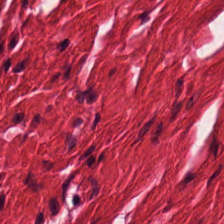H&E stain. WSI patch. Formalin-fixed paraffin-embedded section.
The classification is smooth-muscle tissue.
